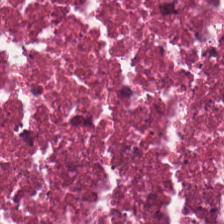Brightfield. Hematoxylin-and-eosin stained section. FFPE tissue section. Predominant tissue — debris.
